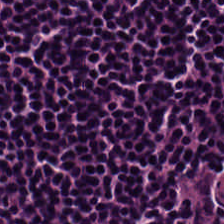Hematoxylin-and-eosin stained section — This patch shows lymphocyte aggregate.
